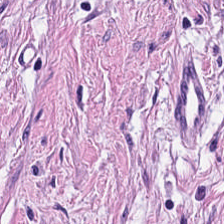H&E stain · FFPE. Predominant tissue = smooth muscle.
